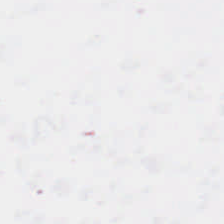Hematoxylin-and-eosin stained section; 224×224 px patch; formalin-fixed paraffin-embedded section.
Field content = background.
